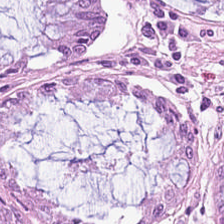Formalin-fixed paraffin-embedded section · hematoxylin and eosin.
Normal colon mucosa.
